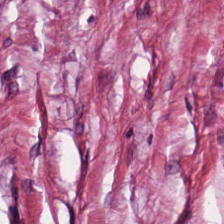WSI patch. Hematoxylin and eosin.
Predominant tissue: tumor-associated stroma.
